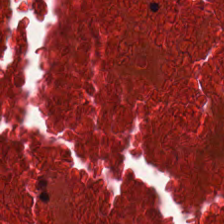H&E — This patch shows necrotic debris.
